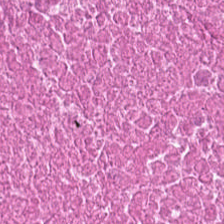Hematoxylin-and-eosin stained section. Tissue — debris.
